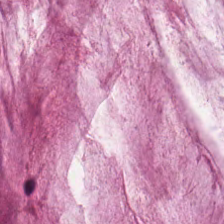Hematoxylin and eosin. WSI patch. 224×224 pixel tile — Histology → mucus.
